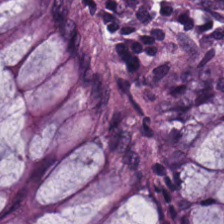Hematoxylin and eosin.
This patch shows benign colonic mucosa.
